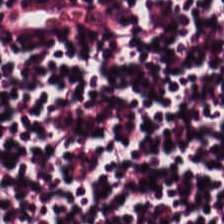20× equivalent magnification; H&E-stained tissue section — This field is lymphocytic infiltrate.
